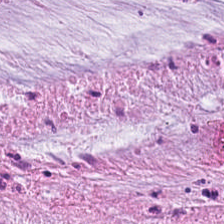H&E stain. Predominantly mucin.
